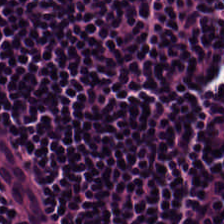H&E stain.
Q: Classify this patch.
A: The field shows lymphocyte aggregate.
